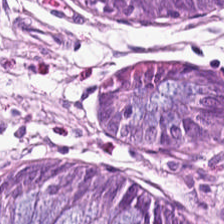Tissue: non-neoplastic colon mucosa.
